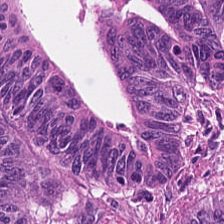FFPE; H&E-stained tissue section — Classification: malignant epithelium.
